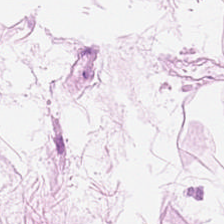FFPE tissue section · H&E · brightfield microscopy — Q: What is shown here?
A: Adipose tissue.
